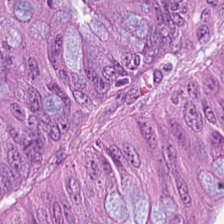Q: What is the predominant tissue type?
A: This is colorectal adenocarcinoma epithelium.
